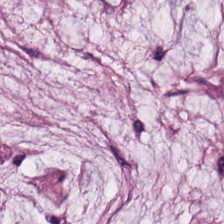0.5 µm/px · 224×224 px tile · hematoxylin and eosin.
The tissue here is mucin.
